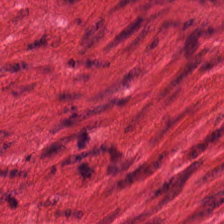Stain: hematoxylin-and-eosin stained section.
Tile size: 224×224 pixel tile.
Tissue: smooth muscle.
